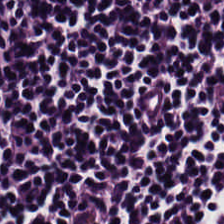224×224 px patch; 20× equivalent magnification; H&E.
Lymphocytic infiltrate.
